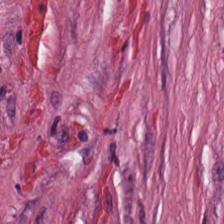H&E-stained tissue section. FFPE.
Classification — tumor stroma.
